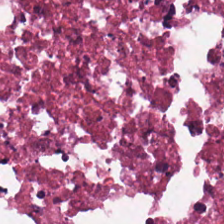H&E stain. This field is debris.
